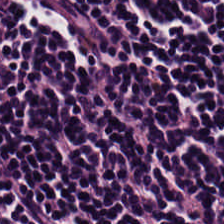H&E stain · 224×224 px patch · WSI patch — Showing lymphocytic infiltrate.
